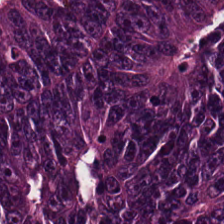Q: What is the predominant tissue type?
A: This is colorectal adenocarcinoma epithelium.
